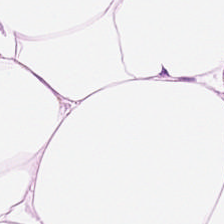H&E-stained tissue section. Predominant tissue — fat tissue.
